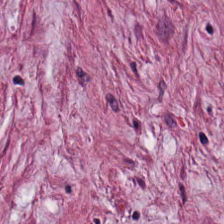H&E-stained tissue section. The tissue type is tumor stroma.
